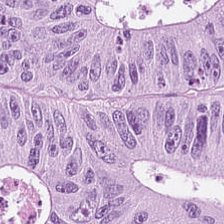Stain: H&E stain.
Acquisition: WSI patch.
Tissue class: colorectal adenocarcinoma.
